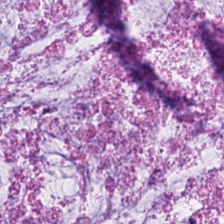Stain: H&E stain.
Preparation: formalin-fixed paraffin-embedded section.
Tissue class: extracellular mucin.
